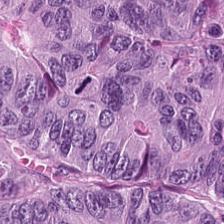Hematoxylin-and-eosin stained section. Predominant tissue: colorectal adenocarcinoma.
